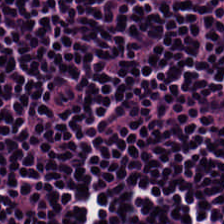Brightfield microscopy. 0.5 µm per pixel. H&E stain.
Finding — lymphocytic infiltrate.
